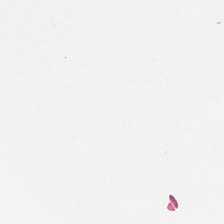FFPE tissue section · hematoxylin-and-eosin stained section · 224×224 px patch.
The field content is background.
